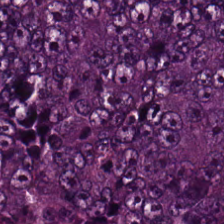Hematoxylin and eosin — Q: What is the predominant tissue type?
A: This is colorectal adenocarcinoma epithelium.
